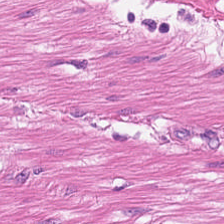Stain: H&E stain.
Acquisition: brightfield.
Resolution: 0.5 µm/px.
Predominant tissue: smooth muscle.
